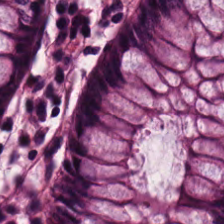H&E-stained tissue section. 224×224 px patch. The tissue type is normal colonic mucosa.
